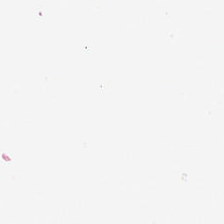Stain: hematoxylin and eosin.
Preparation: FFPE tissue section.
Acquisition: brightfield microscopy.
Content: background.
